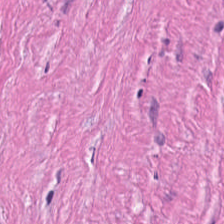224×224 pixel tile. H&E stain — Histology → tumor-associated stroma.
